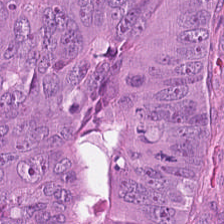H&E — Tissue class: tumor epithelium.
